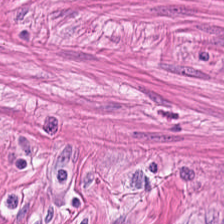Formalin-fixed paraffin-embedded section. Hematoxylin and eosin. 224×224 px tile. Q: Classify this patch.
A: It is smooth muscle.
